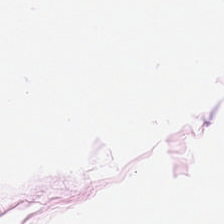Hematoxylin-and-eosin stained section.
This patch shows fat tissue.
